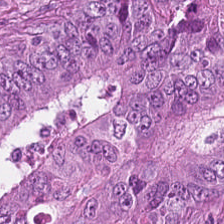H&E-stained tissue section — This patch shows colorectal adenocarcinoma epithelium.
